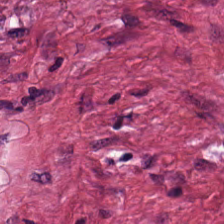The tissue here is tumor stroma.
